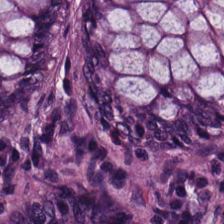This field is normal colonic mucosa.
